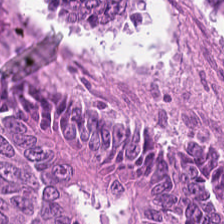The tissue is colorectal adenocarcinoma.
